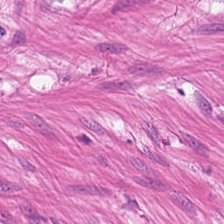Hematoxylin-and-eosin stained section · WSI patch · 0.5 µm/px — The predominant tissue is smooth muscle.
